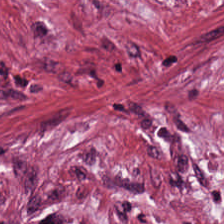FFPE tissue section. Hematoxylin and eosin. Brightfield microscopy. Classification — desmoplastic stroma.
